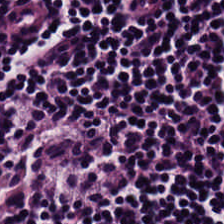Hematoxylin and eosin; 0.5 µm per pixel — Finding — lymphocytic infiltrate.
